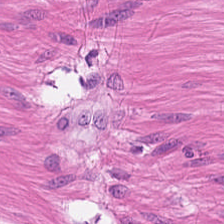H&E · 0.5 microns per pixel — Q: What is shown here?
A: It is muscularis.
